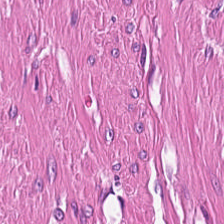H&E-stained tissue section.
Impression — muscularis.
